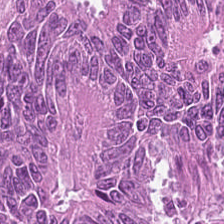Stain: H&E-stained tissue section.
Tissue type: colorectal adenocarcinoma epithelium.
